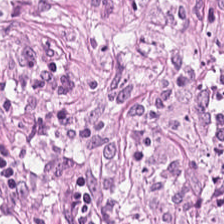0.5 µm per pixel. H&E-stained tissue section.
Showing tumor-associated stroma.
